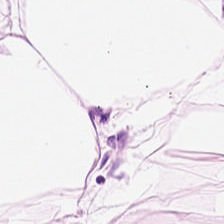Hematoxylin and eosin — Tissue type = adipocytes.
